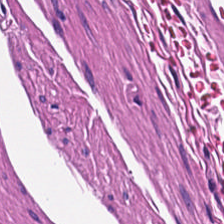The tissue type is smooth muscle.
